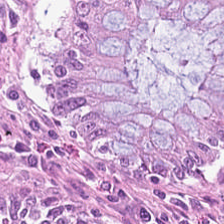0.5 µm/px. FFPE. H&E-stained tissue section. Tissue = benign colonic mucosa.
